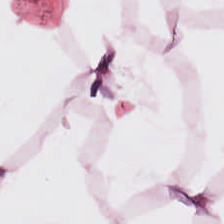Tissue class — adipocytes.
